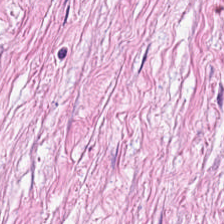H&E stain · 0.5 µm/px.
This field is cancer-associated stroma.
